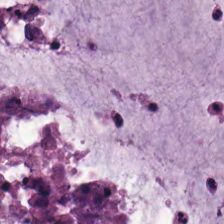H&E stain. Mucin.
